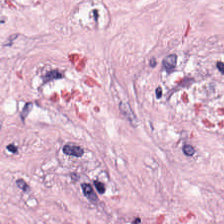FFPE tissue section · H&E. Tissue class = tumor-associated stroma.
